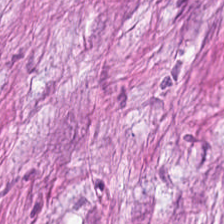H&E; 0.5 µm per pixel; WSI patch. Predominantly tumor-associated stroma.
